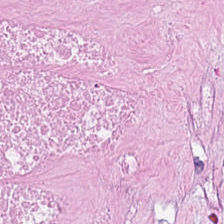Formalin-fixed paraffin-embedded section; hematoxylin and eosin; 224×224 px patch — The predominant tissue is cellular debris.
